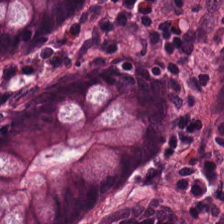H&E-stained tissue section; FFPE. The predominant tissue is normal colonic mucosa.
